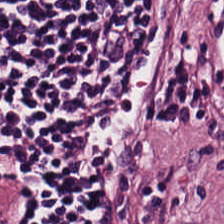FFPE tissue section. H&E stain — Q: What is shown here?
A: It is lymphocyte aggregate.
